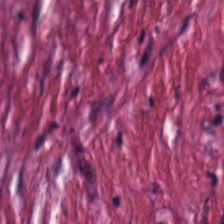Hematoxylin-and-eosin stained section — Q: What tissue is shown?
A: It is tumor stroma.
